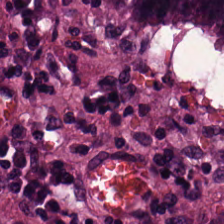Formalin-fixed paraffin-embedded section · H&E. Tissue = adenocarcinoma.
